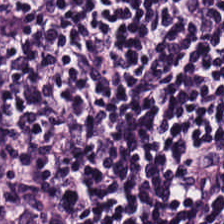H&E stain.
Lymphocyte aggregate.
